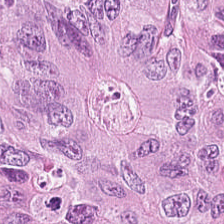0.5 µm per pixel · H&E stain · FFPE.
Showing colorectal adenocarcinoma epithelium.
